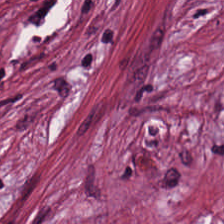Predominant tissue — cancer-associated stroma.
